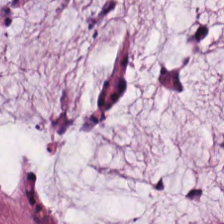Classification = mucin.
